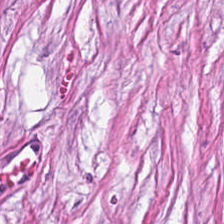H&E; 20× equivalent magnification.
Predominant tissue — cancer-associated stroma.
